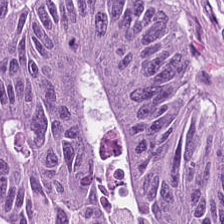FFPE. H&E stain.
This patch shows colorectal adenocarcinoma.
